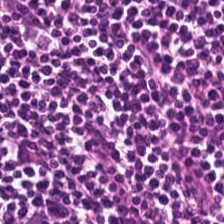H&E-stained tissue section — Q: What is the predominant tissue type?
A: This is lymphocyte aggregate.
